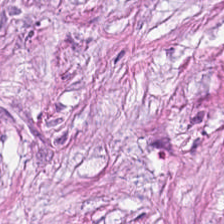Tissue class: cancer-associated stroma.
